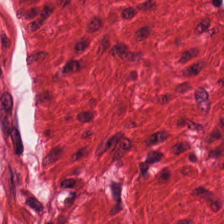H&E — Finding — smooth muscle.
